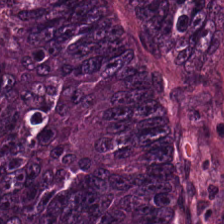The predominant tissue is adenocarcinoma.
